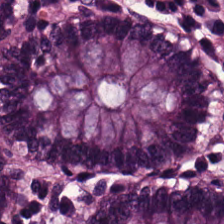Hematoxylin-and-eosin stained section. Q: Identify the tissue.
A: The field shows non-neoplastic colon mucosa.
